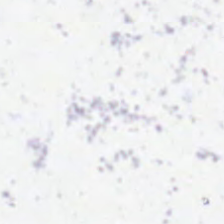Stain: H&E.
Content: background.
